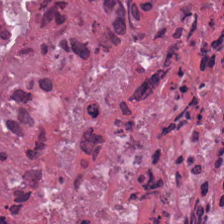H&E-stained tissue section. Histology → cellular debris.
